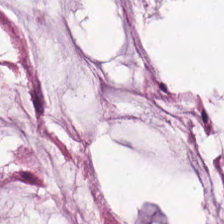Hematoxylin and eosin · 0.5 microns per pixel.
Q: What type of tissue is this?
A: This is mucus.
